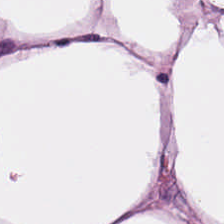Brightfield microscopy; hematoxylin and eosin; 0.5 µm/px — The classification is adipose tissue.
